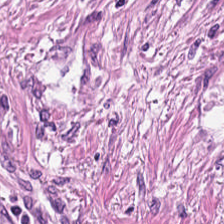H&E patch showing desmoplastic stroma.
